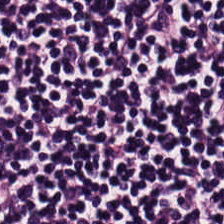Q: What is the predominant tissue type?
A: Lymphocyte aggregate.
